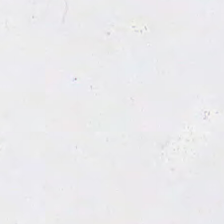H&E-stained tissue section · FFPE — Empty field — background (no tissue).
